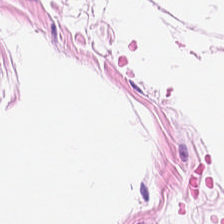H&E. 0.5 µm per pixel.
The tissue here is adipocytes.
